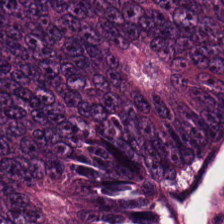Stain: H&E.
Predominant tissue: malignant epithelium.
